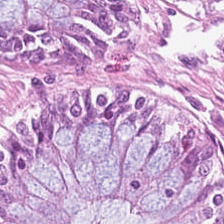H&E. 0.5 µm per pixel.
The tissue type is normal colonic mucosa.
